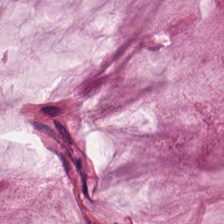H&E; 224×224 pixel tile.
Tissue class — mucin.
